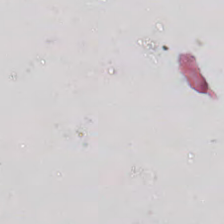H&E stain. 224×224 px tile. 20× equivalent magnification. The content is background (no tissue).
